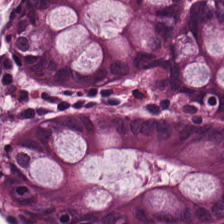H&E-stained tissue section. This patch shows normal colon mucosa.
